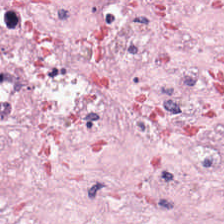H&E-stained tissue section.
Predominantly tumor stroma.
